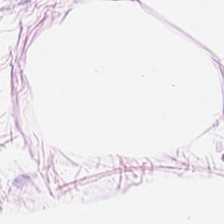The predominant tissue is adipose tissue.
